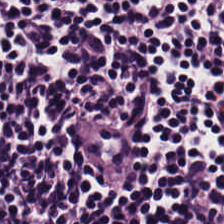Hematoxylin and eosin · brightfield microscopy. Q: Classify this patch.
A: It is lymphocytic infiltrate.
